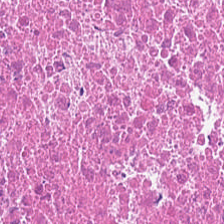H&E-stained tissue section.
Q: What type of tissue is this?
A: Necrotic debris.
